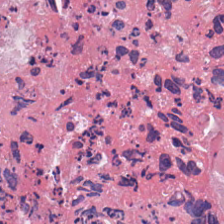H&E-stained tissue section — Classification — debris.
